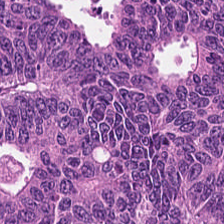Q: Identify the tissue.
A: It is malignant epithelium.
